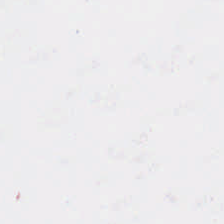Hematoxylin and eosin — Empty field — no tissue.
